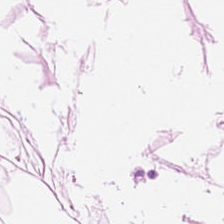Tissue class — fat tissue.
